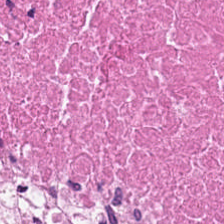Hematoxylin-and-eosin stained section.
Tissue type: cellular debris.
